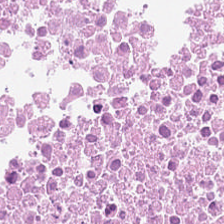H&E stain — Tissue class: necrotic debris.
